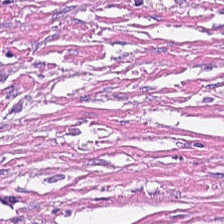Stain: H&E-stained tissue section.
Predominant tissue: cancer-associated stroma.
